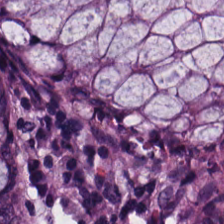Hematoxylin-and-eosin stained section.
The tissue here is normal colon mucosa.
